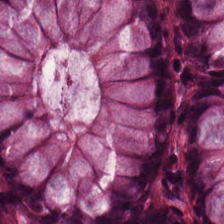H&E. Predominantly non-neoplastic colon mucosa.
